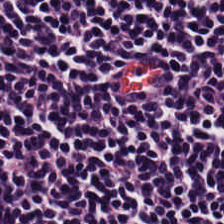H&E-stained tissue section; formalin-fixed paraffin-embedded section — {"tissue_type": "lymphocytes"}
